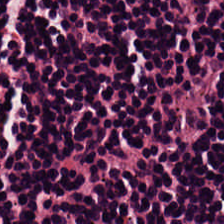H&E stain; 0.5 microns per pixel.
Tissue class: lymphoid infiltrate.
